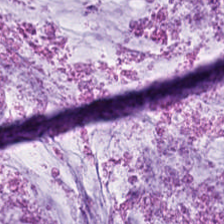H&E; FFPE; brightfield microscopy — The tissue is mucin.
